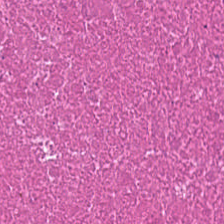224×224 px tile; FFPE; H&E. Finding — debris.
